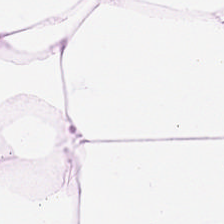Tissue class = adipose tissue.
